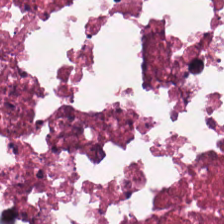Classification — cellular debris.
